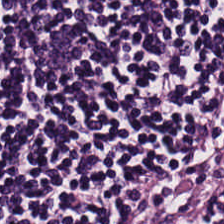0.5 µm per pixel; 224×224 px patch; H&E stain.
This patch shows lymphocytic infiltrate.
